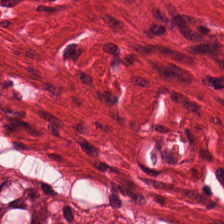H&E-stained tissue section.
Tissue = smooth-muscle tissue.
